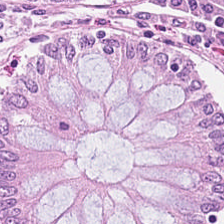Stain: H&E-stained tissue section.
Classification: normal colon mucosa.
